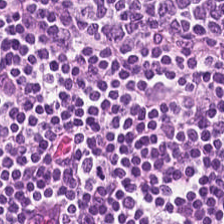Lymphocyte aggregate.
